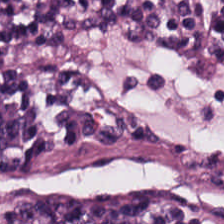Hematoxylin-and-eosin stained section · FFPE · 0.5 µm/px.
Q: Identify the tissue.
A: It is lymphoid infiltrate.
